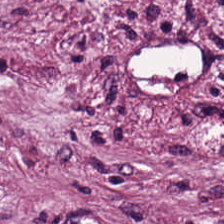The tissue is tumor stroma.
